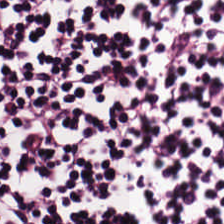Brightfield · H&E stain — Finding → lymphoid infiltrate.
